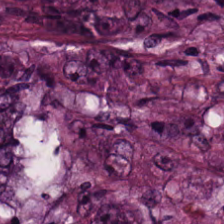0.5 microns per pixel · brightfield microscopy · H&E-stained tissue section.
Tissue = colorectal adenocarcinoma epithelium.
